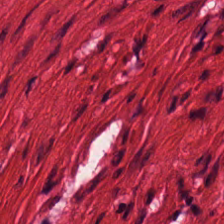Stain: hematoxylin-and-eosin stained section.
Resolution: 0.5 microns per pixel.
Tissue class: muscularis.
